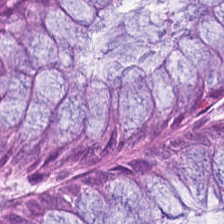H&E. The tissue is normal colonic mucosa.
